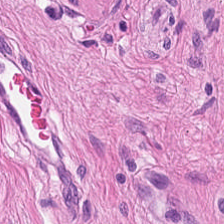Hematoxylin-and-eosin stained section; whole-slide-image patch; 224×224 px patch.
Smooth-muscle tissue.
